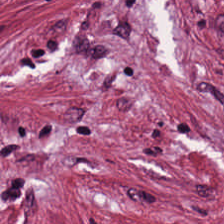Hematoxylin-and-eosin stained section.
This field is cancer-associated stroma.
